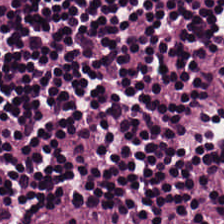Classification: lymphocytes.
